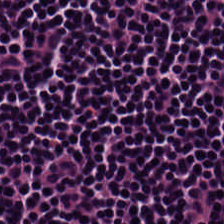Stain: hematoxylin and eosin.
Predominant tissue: lymphocytes.
